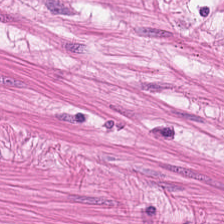H&E · brightfield microscopy · FFPE tissue section.
Predominant tissue: smooth muscle.
